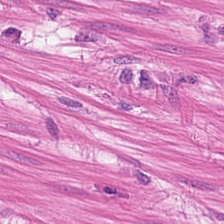FFPE; H&E stain. This patch shows smooth-muscle tissue.
